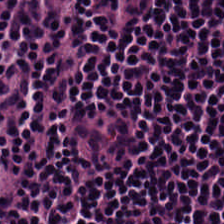Predominant tissue: lymphocytes.
